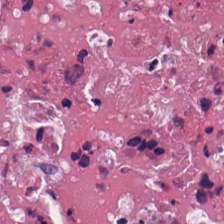H&E-stained tissue section — Predominant tissue — debris.
